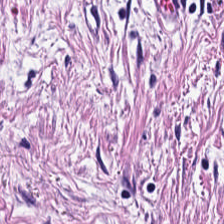224×224 px tile. Hematoxylin and eosin — Showing cancer-associated stroma.
